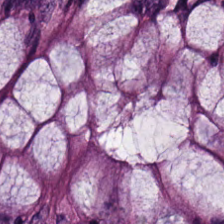Hematoxylin-and-eosin stained section.
The classification is normal colon mucosa.
